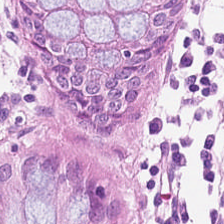H&E stain · formalin-fixed paraffin-embedded section — The tissue is non-neoplastic colon mucosa.
